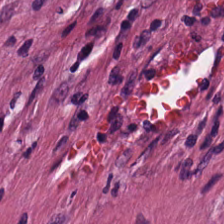20× equivalent magnification. H&E.
Predominantly cancer-associated stroma.
